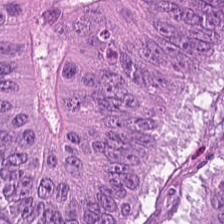Q: What does this patch show?
A: The field shows adenocarcinoma.
